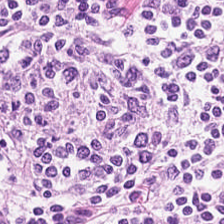H&E — Q: What is shown in this field?
A: Lymphoid infiltrate.
